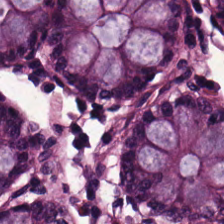Hematoxylin-and-eosin stained section.
This patch shows normal colonic mucosa.
